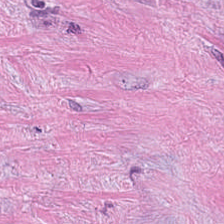Stain: hematoxylin and eosin.
Tissue class: tumor stroma.
